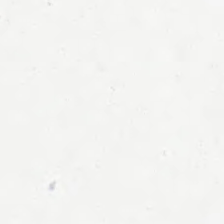Stain: H&E stain.
Classification: empty background.
